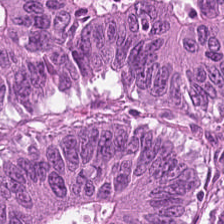224×224 px tile; formalin-fixed paraffin-embedded section; H&E. The tissue class is tumor epithelium.
